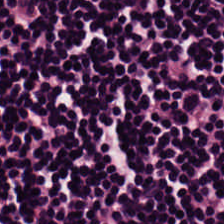Impression — lymphocytes.
